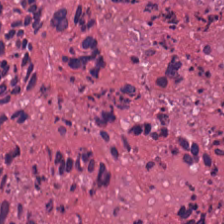Predominantly debris.
